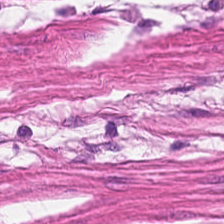224×224 px patch · H&E stain.
Showing smooth muscle.
